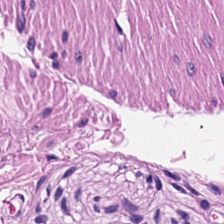WSI patch; H&E.
Q: What is the predominant tissue type?
A: The field shows smooth-muscle tissue.
